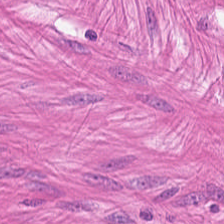Hematoxylin and eosin — {"tissue_type": "smooth-muscle tissue"}
